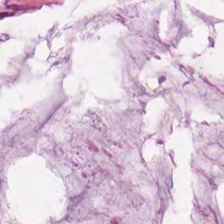H&E-stained tissue section.
Tissue type — extracellular mucin.
